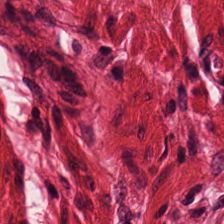Hematoxylin-and-eosin stained section · 224×224 pixel tile. Finding → smooth-muscle tissue.
